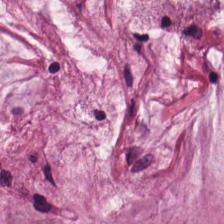H&E. Q: What tissue is shown?
A: The field shows extracellular mucin.
